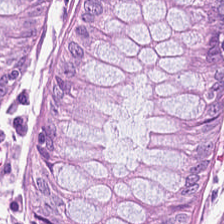The classification is benign colonic mucosa.
